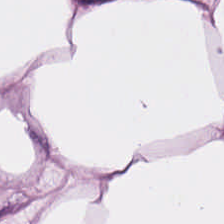H&E stain · FFPE — Q: What does this patch show?
A: Adipose.
